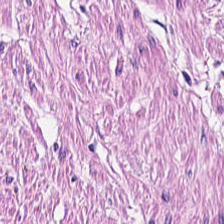FFPE tissue section · H&E — Tissue type — smooth muscle.
